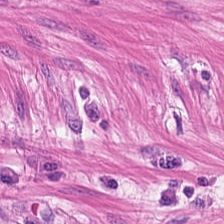Showing smooth muscle.
